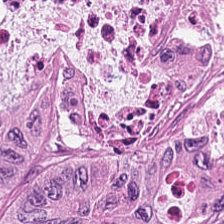FFPE tissue section; H&E-stained tissue section.
Q: What is shown here?
A: This is malignant epithelium.
